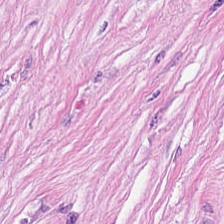This field is cancer-associated stroma.
